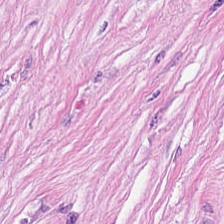This field is cancer-associated stroma.
